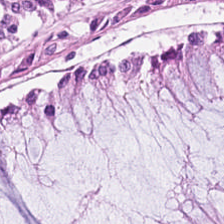H&E-stained tissue section. 224×224 px tile.
Classification = non-neoplastic colon mucosa.
